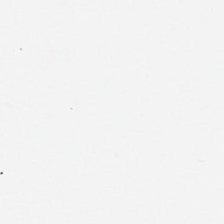H&E; 224×224 px tile. Classification: no tissue.
